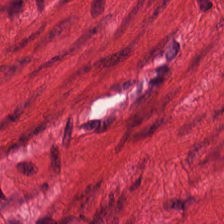Hematoxylin-and-eosin stained section — {"tissue_type": "smooth muscle"}
